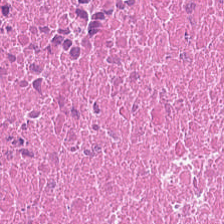Hematoxylin-and-eosin stained section. 0.5 microns per pixel. The tissue here is necrotic debris.
